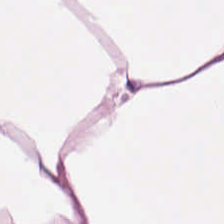This patch shows adipose tissue.
